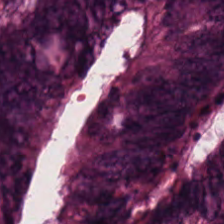WSI patch; 224×224 px patch; H&E stain.
Finding → tumor epithelium.
